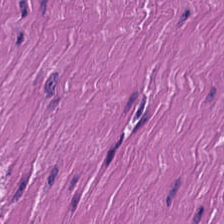H&E-stained tissue section — {"tissue_type": "smooth-muscle tissue"}
